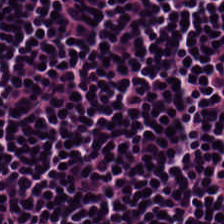H&E — lymphocytes.
